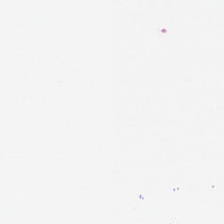224×224 px tile. Formalin-fixed paraffin-embedded section. H&E-stained tissue section. Content — background (no tissue).
